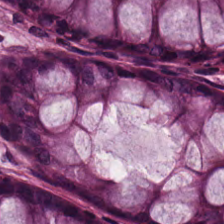H&E.
Q: What does this patch show?
A: This is normal colonic mucosa.
